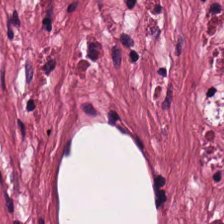224×224 pixel tile · H&E-stained tissue section · 0.5 microns per pixel.
The predominant tissue is tumor-associated stroma.
